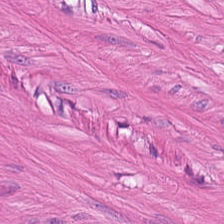H&E · 224×224 pixel tile. Tissue type — smooth-muscle tissue.
